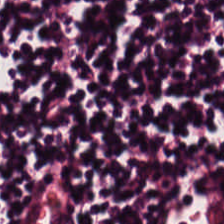0.5 µm/px. Hematoxylin-and-eosin stained section — Classification = lymphocytes.
